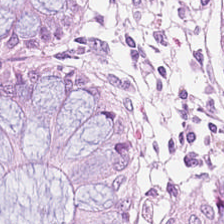H&E-stained tissue section. Tissue = non-neoplastic colon mucosa.
